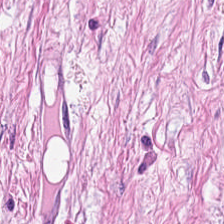Hematoxylin and eosin.
{"tissue_type": "cancer-associated stroma"}
